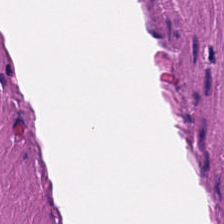FFPE tissue section. H&E.
Predominant tissue = smooth-muscle tissue.
